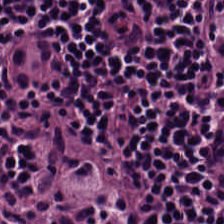Tissue: lymphoid infiltrate.
